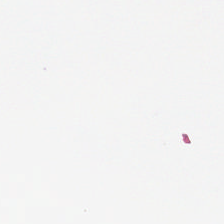Hematoxylin-and-eosin stained section. No tissue.
